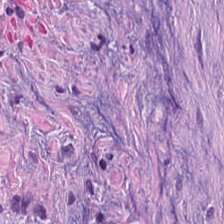H&E-stained tissue section. WSI patch. FFPE.
Tumor-associated stroma.
